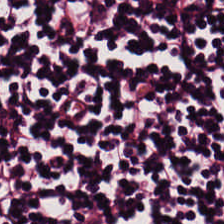Q: What is the predominant tissue type?
A: This is lymphocytes.
